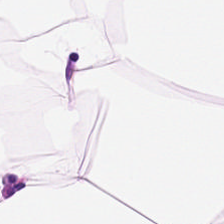Q: What type of tissue is this?
A: It is adipose tissue.
